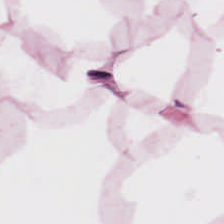H&E · 224×224 px patch · 20× equivalent magnification. Tissue type: fat tissue.
